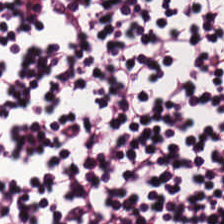Stain: H&E-stained tissue section.
Tissue type: lymphocyte aggregate.
